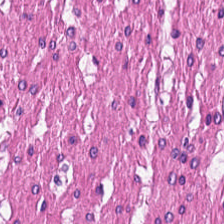Hematoxylin-and-eosin stained section — Tissue — muscularis.
